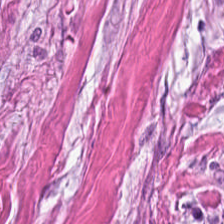H&E stain · whole-slide-image patch · 224×224 px patch. Tumor stroma.
